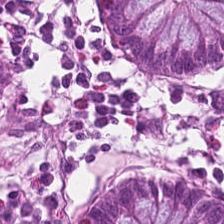Stain: H&E-stained tissue section.
Classification: normal colon mucosa.
